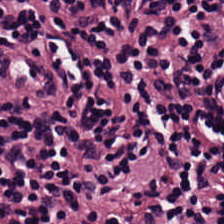Hematoxylin-and-eosin stained section. FFPE. 224×224 pixel tile. The predominant tissue is lymphoid infiltrate.
